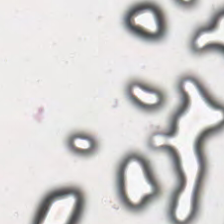Hematoxylin-and-eosin stained section — Background — no tissue in this field.
